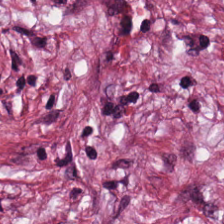H&E. Finding → desmoplastic stroma.
